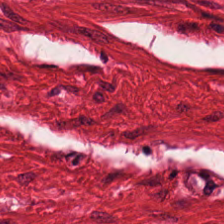H&E — Q: What tissue is shown?
A: The field shows smooth-muscle tissue.
